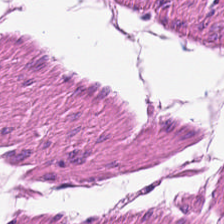H&E-stained tissue section.
Q: Classify this patch.
A: This is smooth muscle.
